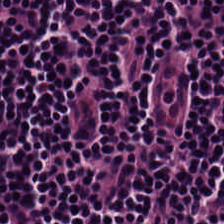224×224 px tile. H&E — Lymphoid infiltrate.
